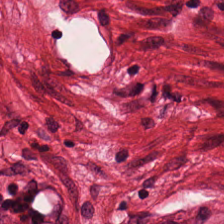H&E-stained tissue section showing smooth muscle.
